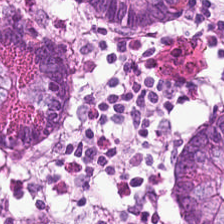Predominant tissue: benign colonic mucosa.
